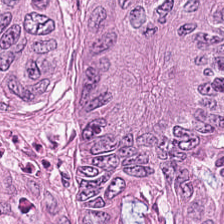20× equivalent magnification; hematoxylin-and-eosin stained section. This patch shows colorectal adenocarcinoma epithelium.
